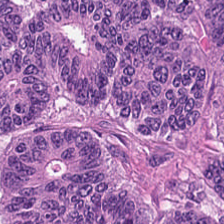20× equivalent magnification; H&E stain; whole-slide-image patch.
This patch shows malignant epithelium.
